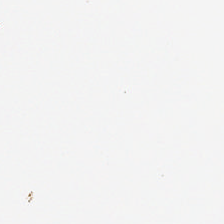Hematoxylin-and-eosin stained section — Q: What does this patch show?
A: This is no tissue.
